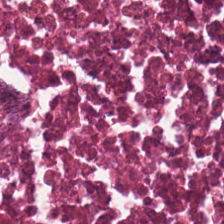H&E stain · formalin-fixed paraffin-embedded section · whole-slide-image patch — Predominantly debris.
